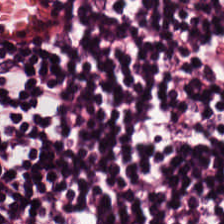H&E-stained section; the field shows lymphoid infiltrate.
